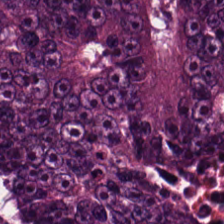Hematoxylin-and-eosin stained section · 0.5 µm per pixel. Finding → adenocarcinoma.
